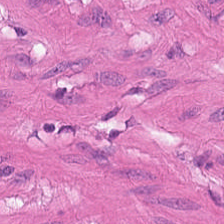224×224 px tile. H&E.
The predominant tissue is smooth muscle.
